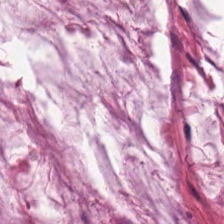FFPE. H&E stain. Mucus.
